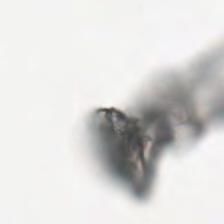Stain: H&E stain.
Field content: background.
